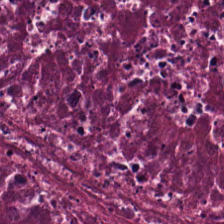H&E-stained tissue section.
This patch shows necrotic debris.
